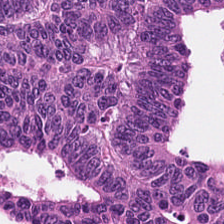Brightfield microscopy · formalin-fixed paraffin-embedded section · H&E stain. The classification is adenocarcinoma.
